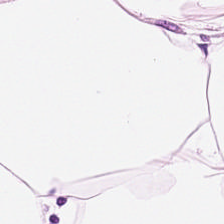FFPE. H&E-stained tissue section.
Tissue type = fat tissue.
